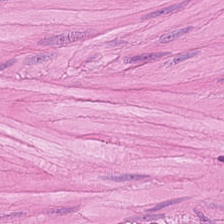H&E patch showing smooth-muscle tissue.
